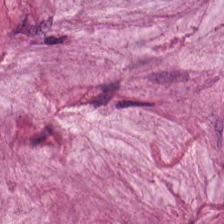H&E-stained tissue section · 20× equivalent magnification.
Q: What does this patch show?
A: It is extracellular mucin.
